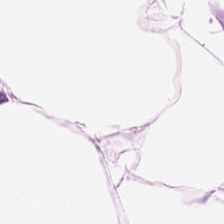Impression — adipose.
